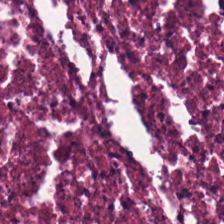224×224 pixel tile; hematoxylin and eosin. Q: Identify the tissue.
A: Necrotic debris.
